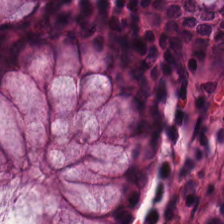0.5 microns per pixel. 224×224 px patch. Hematoxylin and eosin. The predominant tissue is normal colon mucosa.
